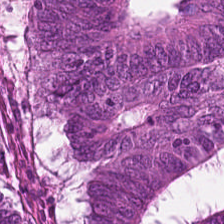H&E-stained tissue section.
Tissue: colorectal adenocarcinoma epithelium.
